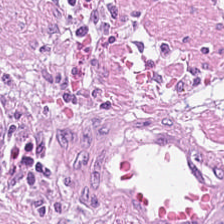H&E-stained tissue section — This field is tumor-associated stroma.
